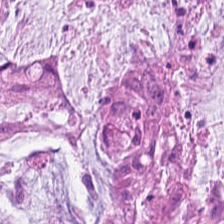0.5 microns per pixel · 224×224 px tile · hematoxylin-and-eosin stained section.
Tissue type — mucin.
